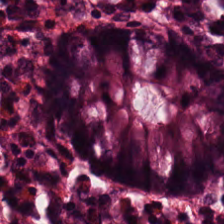Hematoxylin-and-eosin stained section — Q: What is shown here?
A: The field shows non-neoplastic colon mucosa.
